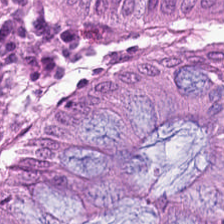Hematoxylin and eosin. Q: What does this patch show?
A: This is benign colonic mucosa.
